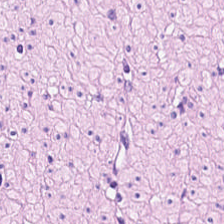H&E — smooth muscle.
